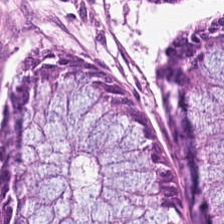WSI patch · FFPE tissue section · H&E-stained tissue section. Q: What does this patch show?
A: It is non-neoplastic colon mucosa.
